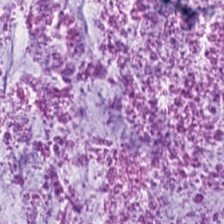Formalin-fixed paraffin-embedded section · H&E stain. The predominant tissue is mucin.
